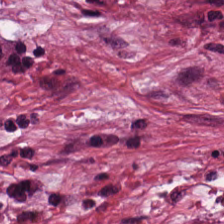Stain: H&E-stained tissue section.
Classification: tumor-associated stroma.
